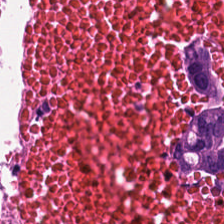Hematoxylin and eosin — Tissue type = debris.
